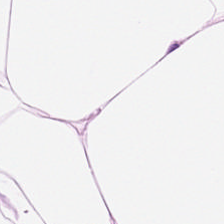H&E-stained tissue section. Tissue = fat tissue.
